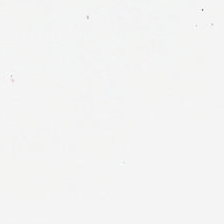Stain: hematoxylin and eosin.
Content: background.
